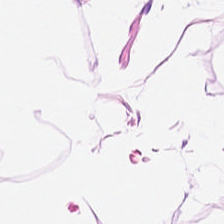{"tissue_type": "adipocytes"}
